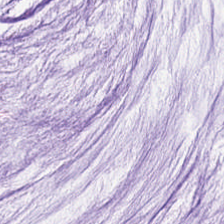Showing extracellular mucin.
